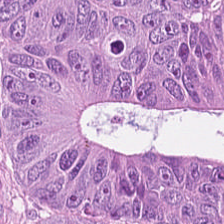Classification = colorectal adenocarcinoma.
